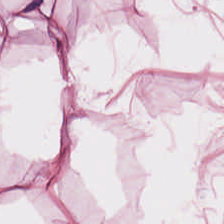224×224 px patch; H&E-stained tissue section — Tissue: adipose.
